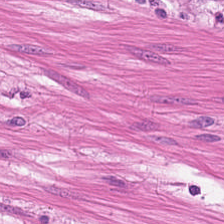0.5 microns per pixel. Formalin-fixed paraffin-embedded section. Hematoxylin-and-eosin stained section. The tissue here is smooth muscle.
